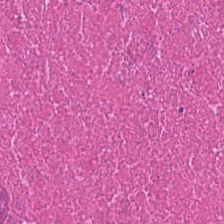Hematoxylin-and-eosin stained section — Predominantly debris.
